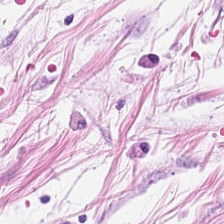H&E-stained tissue section — Classification: adipocytes.
